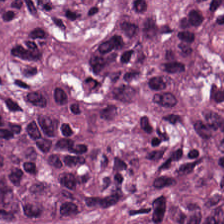Classification: colorectal adenocarcinoma epithelium.
